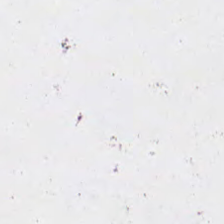H&E stain. Q: What does this patch show?
A: It is no tissue.
